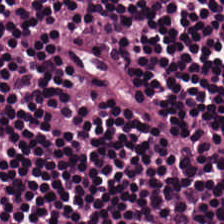H&E-stained tissue section — This field is lymphocytes.
